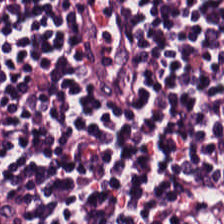H&E.
Finding — lymphocyte aggregate.
